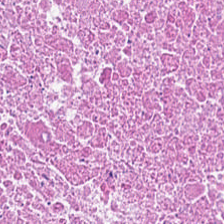H&E · formalin-fixed paraffin-embedded section — Tissue class = necrotic debris.
